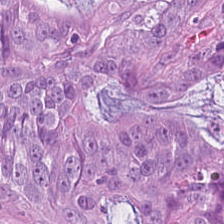Formalin-fixed paraffin-embedded section. WSI patch. H&E. This field is adenocarcinoma.
